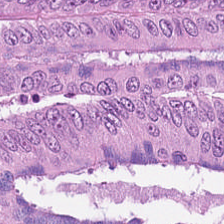H&E stain.
Showing adenocarcinoma.
